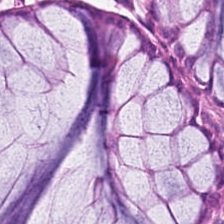H&E-stained tissue section — This field is normal colonic mucosa.
